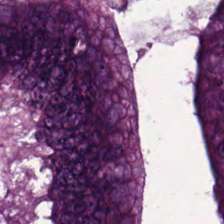Predominantly malignant epithelium.
